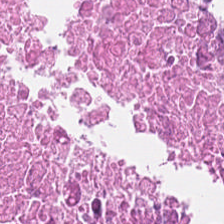H&E — Tissue type: necrotic debris.
